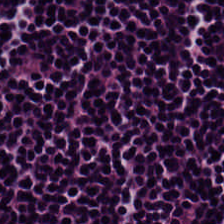Stain: H&E-stained tissue section.
Tissue type: lymphocyte aggregate.
